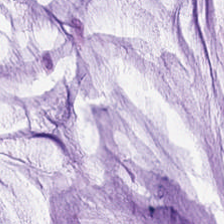224×224 px tile · hematoxylin and eosin.
Q: What type of tissue is this?
A: The field shows mucin.
